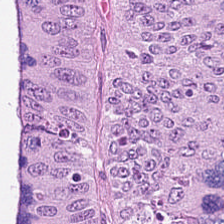Finding → colorectal adenocarcinoma epithelium.
